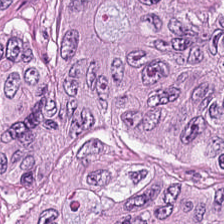Hematoxylin-and-eosin stained section. 0.5 microns per pixel. Q: Identify the tissue.
A: This is adenocarcinoma.
